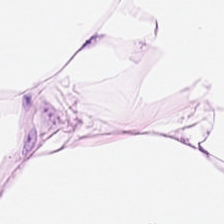WSI patch · H&E-stained tissue section. The tissue class is adipose tissue.
